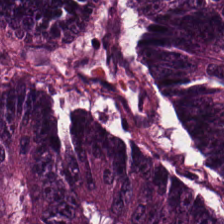Stain: hematoxylin-and-eosin stained section.
Tile size: 224×224 pixel tile.
Tissue class: tumor epithelium.
